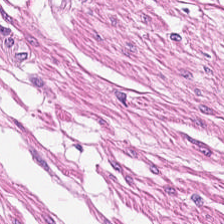Hematoxylin and eosin.
Tissue: smooth-muscle tissue.
